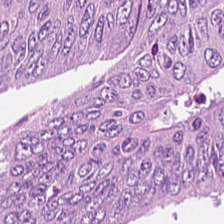Whole-slide-image patch; H&E; 224×224 px patch.
Showing adenocarcinoma.
